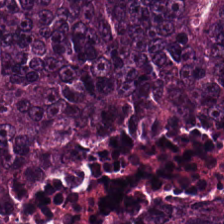The predominant tissue is colorectal adenocarcinoma.
